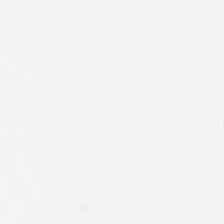0.5 µm per pixel; formalin-fixed paraffin-embedded section; hematoxylin and eosin. Background — no tissue in this field.
